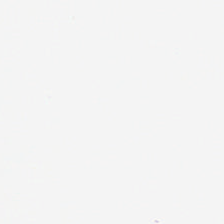Hematoxylin and eosin — Empty field — background.
